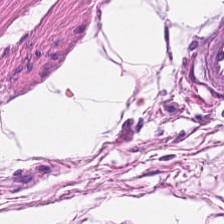H&E — smooth muscle.
